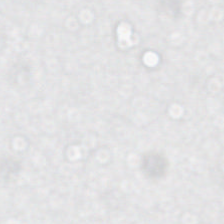Stain: H&E-stained tissue section.
Field content: no tissue.
